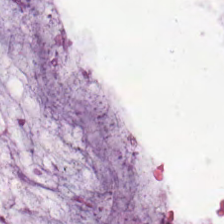Whole-slide-image patch · 224×224 px tile · H&E — Q: What is shown in this field?
A: Non-neoplastic colon mucosa.
